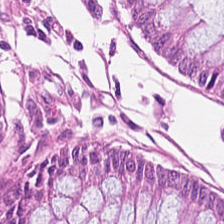FFPE tissue section. Hematoxylin-and-eosin stained section. Histology — non-neoplastic colon mucosa.
